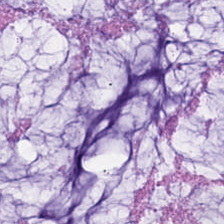H&E. Formalin-fixed paraffin-embedded section. 224×224 pixel tile. The tissue here is mucin.
